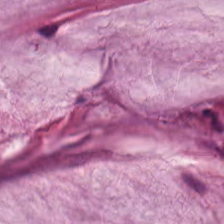H&E stain. Showing mucus.
